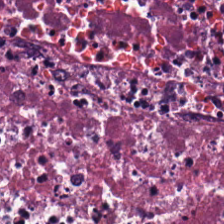This field is debris.
